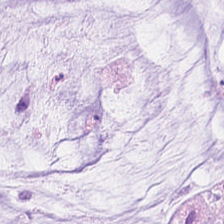H&E — {"tissue_type": "extracellular mucin"}
